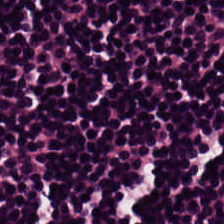H&E stain; FFPE; 20× equivalent magnification. Tissue class — lymphocytes.
